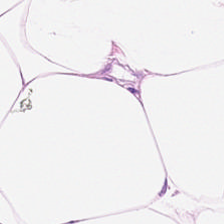H&E-stained tissue section. WSI patch. 224×224 pixel tile.
Tissue = fat tissue.
